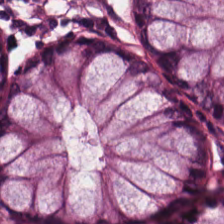Hematoxylin-and-eosin stained section. Whole-slide-image patch — This patch shows non-neoplastic colon mucosa.
